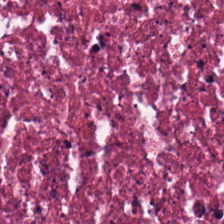Stain: H&E stain.
Tissue class: necrotic debris.
